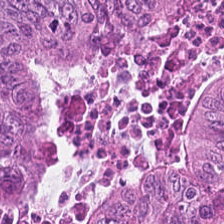Tissue — colorectal adenocarcinoma epithelium.
